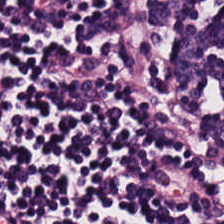H&E — Predominant tissue = lymphocytes.
